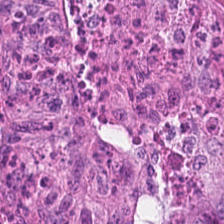Q: What is shown in this field?
A: It is colorectal adenocarcinoma.
